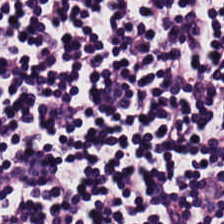0.5 µm/px · H&E-stained tissue section · whole-slide-image patch — Tissue type — lymphocytic infiltrate.
